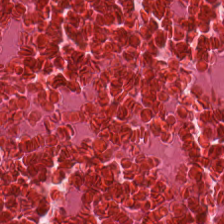FFPE · H&E stain — Tissue = cellular debris.
